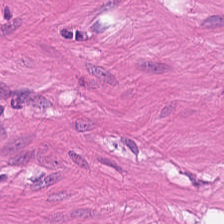Hematoxylin and eosin.
This patch shows muscularis.
